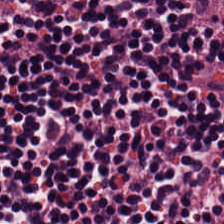H&E stain. The predominant tissue is lymphocyte aggregate.
